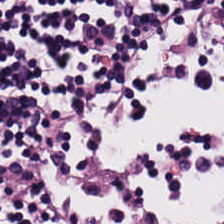224×224 px patch · H&E-stained tissue section · FFPE.
This field is lymphoid infiltrate.
